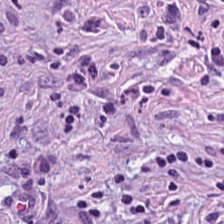H&E stain. This field is desmoplastic stroma.
